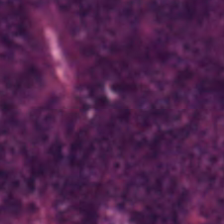Classification — adenocarcinoma.
